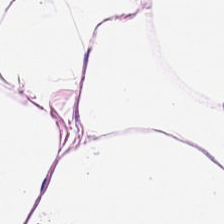224×224 px patch · H&E stain.
Adipocytes.
